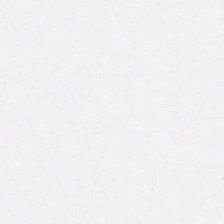Stain: H&E-stained tissue section.
Field content: empty background.
